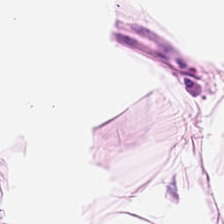0.5 microns per pixel; H&E-stained tissue section; brightfield microscopy. Predominant tissue — fat tissue.
